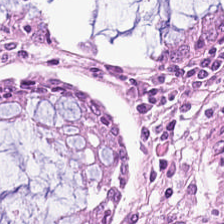H&E — Q: What is the predominant tissue type?
A: It is normal colon mucosa.
